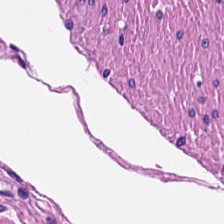Q: Identify the tissue.
A: It is muscularis.
